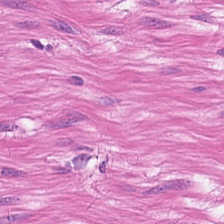Showing smooth-muscle tissue.
